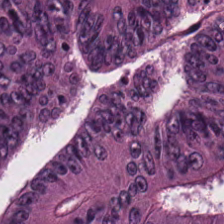Predominant tissue — colorectal adenocarcinoma epithelium.
